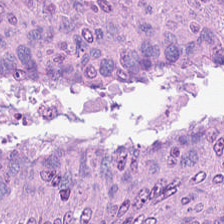H&E · 224×224 px patch — Q: What tissue type is shown here?
A: It is colorectal adenocarcinoma.
